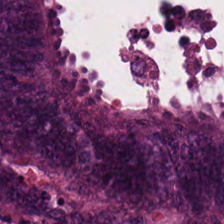Brightfield microscopy · hematoxylin-and-eosin stained section · 0.5 µm per pixel.
The predominant tissue is tumor epithelium.
